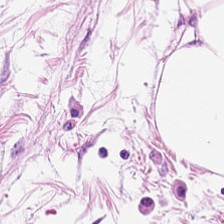Hematoxylin-and-eosin stained section. {"tissue_type": "adipose tissue"}
